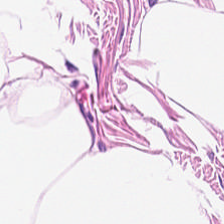H&E. Fat tissue.
